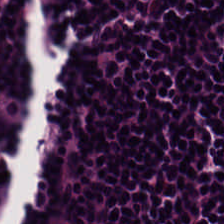Hematoxylin-and-eosin stained section; FFPE tissue section. This patch shows lymphocytic infiltrate.
